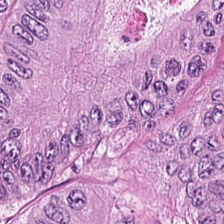Brightfield microscopy. Hematoxylin and eosin. Finding → adenocarcinoma.
